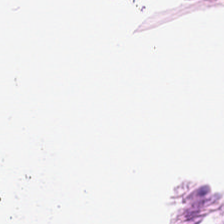H&E stain · FFPE tissue section.
Q: What is shown here?
A: The field shows adipose.
